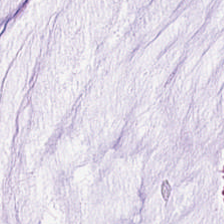Hematoxylin-and-eosin stained section. Predominant tissue: extracellular mucin.
